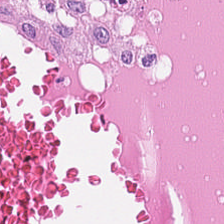The tissue type is debris.
